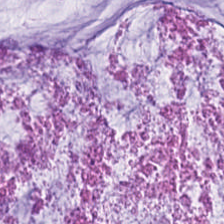20× equivalent magnification; hematoxylin-and-eosin stained section. Finding — mucin.
